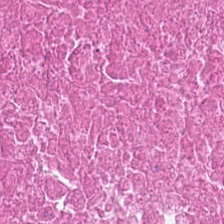H&E. The tissue type is necrotic debris.
